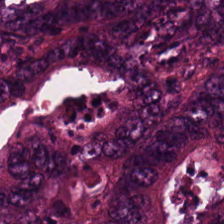Hematoxylin-and-eosin stained section — Colorectal adenocarcinoma epithelium.
